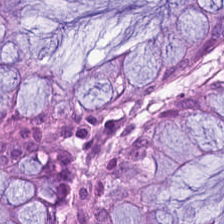H&E-stained tissue section. Tissue type = normal colonic mucosa.
